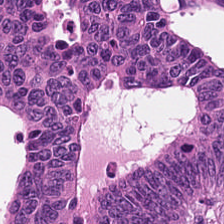Stain: H&E stain.
Predominant tissue: tumor epithelium.
